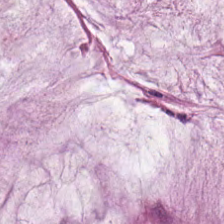Stain: H&E.
Acquisition: brightfield.
Tissue: mucus.
